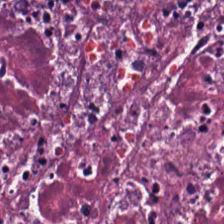Q: What is shown in this field?
A: This is cellular debris.
